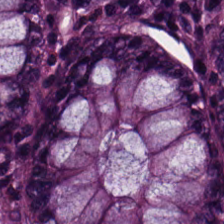Hematoxylin and eosin — Showing benign colonic mucosa.
